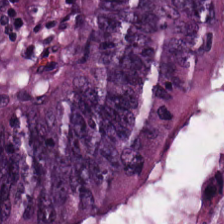H&E stain. 224×224 px tile. FFPE — Classification: malignant epithelium.
